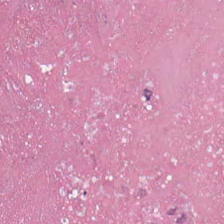H&E-stained tissue section. Brightfield. 0.5 microns per pixel — The predominant tissue is necrotic debris.
